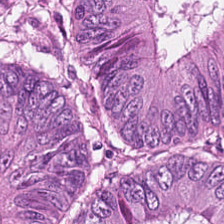224×224 pixel tile. 20× equivalent magnification. Hematoxylin and eosin.
The tissue here is malignant epithelium.
